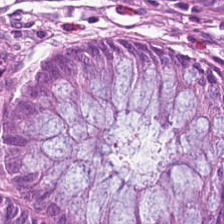H&E stain. Predominantly normal colon mucosa.
